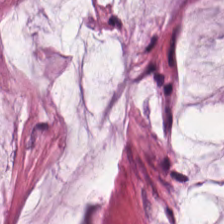224×224 px patch · hematoxylin-and-eosin stained section.
This patch shows mucus.
